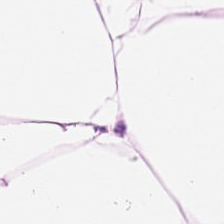Hematoxylin and eosin. This field is adipocytes.
